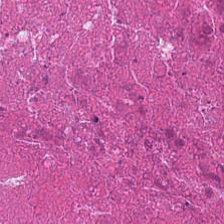Q: What does this patch show?
A: This is cellular debris.
